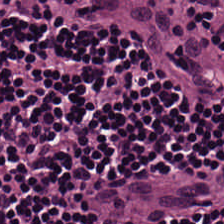H&E — Lymphocytes.
